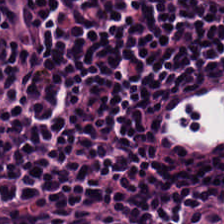Hematoxylin-and-eosin stained section — Showing lymphoid infiltrate.
